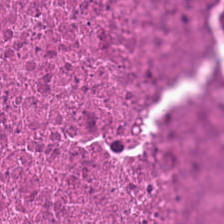Stain: hematoxylin and eosin.
Preparation: FFPE tissue section.
Classification: necrotic debris.
